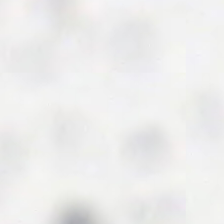Classification: background (no tissue).
